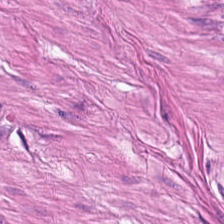Finding — smooth muscle.
